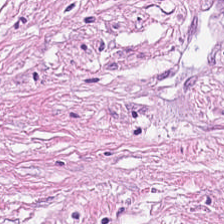Formalin-fixed paraffin-embedded section; H&E.
Tissue class = tumor-associated stroma.
